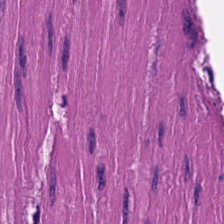H&E stain · formalin-fixed paraffin-embedded section. Tissue = smooth-muscle tissue.
